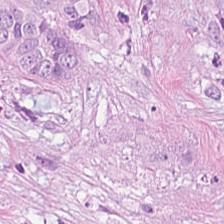H&E-stained tissue section. Brightfield microscopy. 0.5 microns per pixel. The predominant tissue is colorectal adenocarcinoma.
